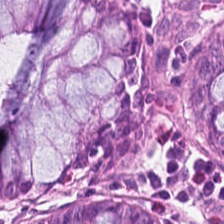Hematoxylin and eosin. Formalin-fixed paraffin-embedded section.
Histology — benign colonic mucosa.
